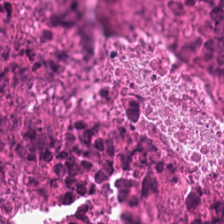Stain: H&E-stained tissue section.
Predominant tissue: cellular debris.
